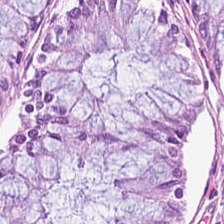Normal colonic mucosa.
